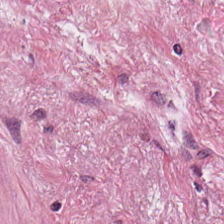Formalin-fixed paraffin-embedded section; H&E-stained tissue section; 20× equivalent magnification.
Tissue: cancer-associated stroma.
